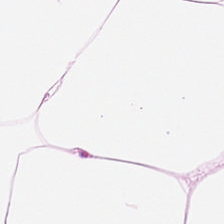Q: What is the predominant tissue type?
A: This is fat tissue.
